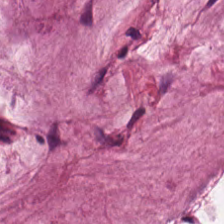Stain: hematoxylin and eosin.
Preparation: FFPE.
Resolution: 0.5 µm per pixel.
Tissue class: mucus.
